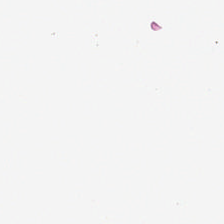Whole-slide-image patch · hematoxylin-and-eosin stained section.
No tissue present; background only.
